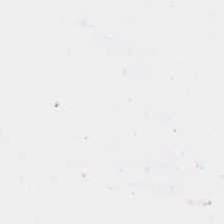224×224 pixel tile; hematoxylin and eosin; FFPE — Empty background.
